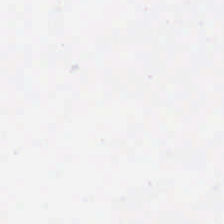Stain: hematoxylin and eosin.
Field content: empty background.
